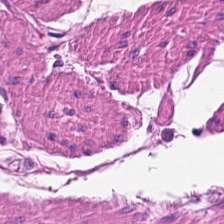Hematoxylin and eosin — Predominantly muscularis.
